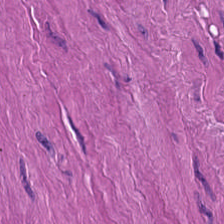H&E stain. Tissue type = smooth-muscle tissue.
